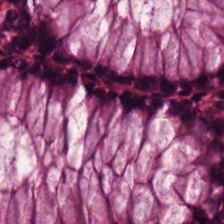H&E stain. 0.5 µm/px — Q: What tissue is shown?
A: The field shows normal colonic mucosa.
